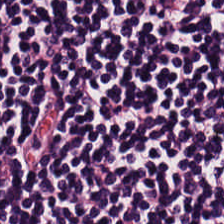H&E stain. Predominantly lymphocyte aggregate.
